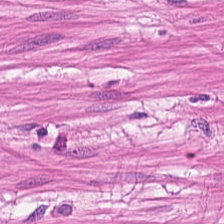Hematoxylin and eosin · 0.5 µm/px · whole-slide-image patch.
Classification: muscularis.
